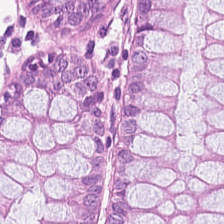H&E stain — Q: Identify the tissue.
A: Non-neoplastic colon mucosa.
